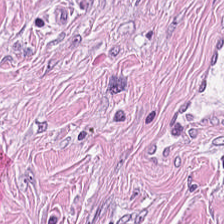H&E stain — The tissue type is tumor-associated stroma.
